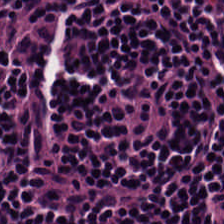224×224 px patch · H&E-stained tissue section. The tissue here is lymphocytes.
